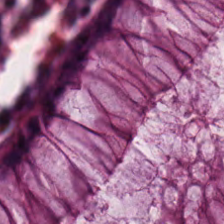Hematoxylin and eosin; 224×224 px patch. The tissue here is normal colon mucosa.
